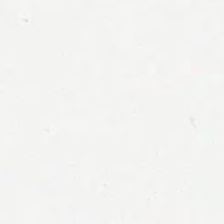H&E. 224×224 px patch.
The content is background.
